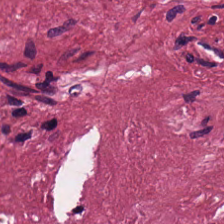Stain: H&E-stained tissue section.
Resolution: 0.5 microns per pixel.
Tissue type: cancer-associated stroma.
